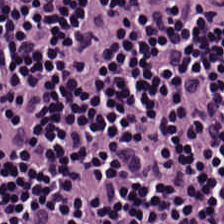H&E · brightfield — The tissue here is lymphoid infiltrate.
